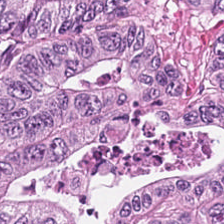Hematoxylin and eosin.
Q: What is shown in this field?
A: This is tumor epithelium.
